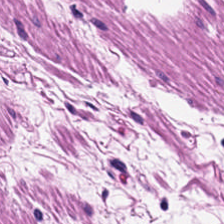H&E-stained tissue section · 0.5 microns per pixel · FFPE tissue section — Q: What does this patch show?
A: The field shows smooth muscle.
